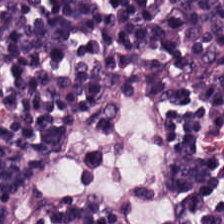224×224 pixel tile · hematoxylin-and-eosin stained section.
The classification is lymphocytes.
